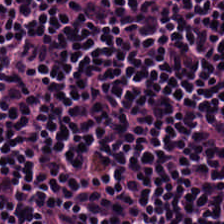H&E.
This field is lymphocyte aggregate.
